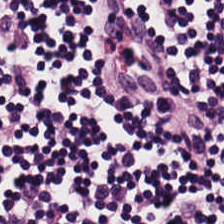H&E stain; brightfield microscopy — Classification = lymphoid infiltrate.
